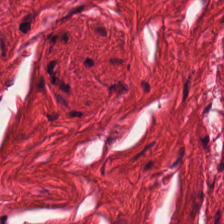Hematoxylin-and-eosin section: smooth-muscle tissue.
